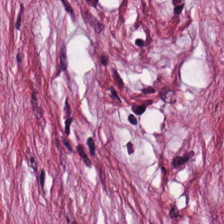20× equivalent magnification · hematoxylin and eosin.
Tissue type = tumor-associated stroma.
